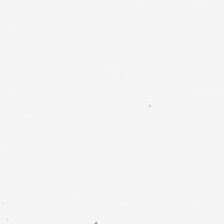Classification: background (no tissue).
